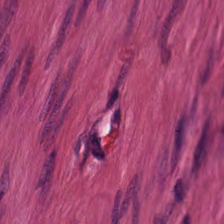Hematoxylin and eosin.
Classification — smooth-muscle tissue.
